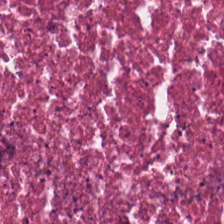H&E. 224×224 px tile.
Tissue type: debris.
